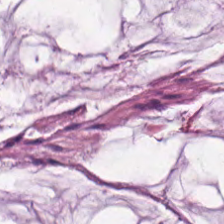Stain: hematoxylin-and-eosin stained section.
Tissue class: mucus.
